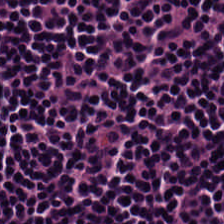Hematoxylin-and-eosin stained section.
The tissue class is lymphoid infiltrate.
